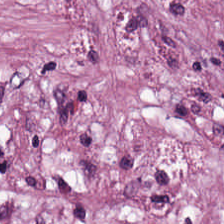Hematoxylin and eosin — Finding — tumor stroma.
